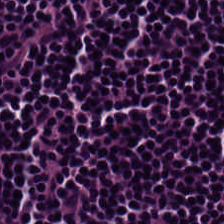Hematoxylin-and-eosin stained section — This field is lymphocytes.
